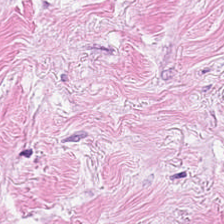The predominant tissue is tumor stroma.
